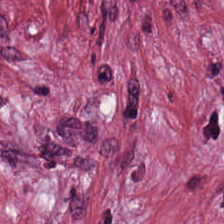Hematoxylin-and-eosin stained section. 224×224 pixel tile. Tumor-associated stroma.
